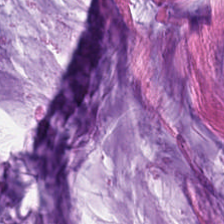WSI patch; hematoxylin-and-eosin stained section; FFPE tissue section. Tissue: extracellular mucin.
